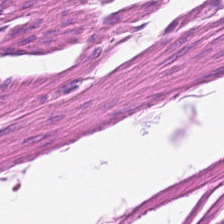Stain: H&E-stained tissue section.
Tissue type: smooth muscle.
